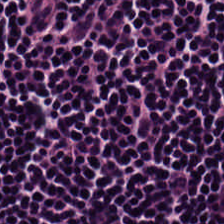Q: What type of tissue is this?
A: It is lymphoid infiltrate.
